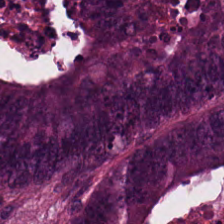H&E; 0.5 µm/px.
This patch shows colorectal adenocarcinoma epithelium.
